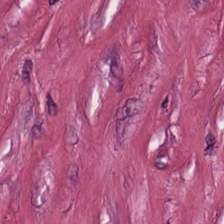Stain: hematoxylin and eosin.
Tissue: desmoplastic stroma.
